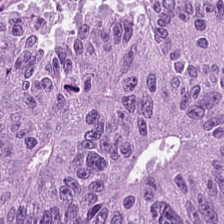224×224 px patch; H&E; FFPE tissue section.
Classification = colorectal adenocarcinoma.
